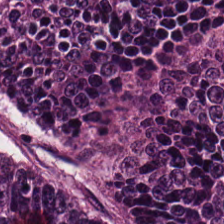Hematoxylin and eosin. 20× equivalent magnification — This field is colorectal adenocarcinoma.
